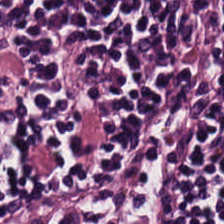WSI patch. Hematoxylin and eosin. 0.5 µm/px.
Lymphocytes.
